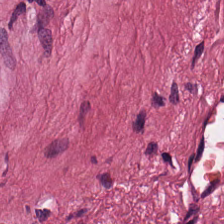H&E. Formalin-fixed paraffin-embedded section. 0.5 µm/px.
Tissue class — desmoplastic stroma.
